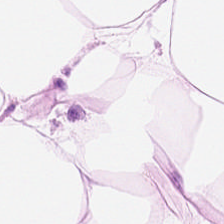Hematoxylin-and-eosin stained section.
The predominant tissue is adipocytes.
